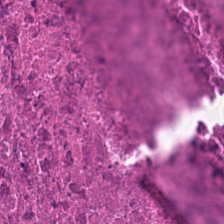Stain: H&E-stained tissue section.
Tissue class: necrotic debris.
